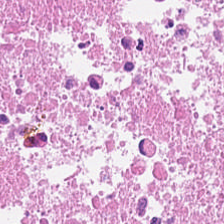H&E · FFPE. Classification — necrotic debris.
